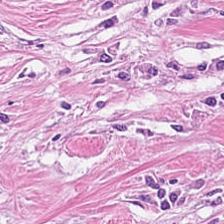H&E-stained tissue section.
Tissue type: tumor-associated stroma.
